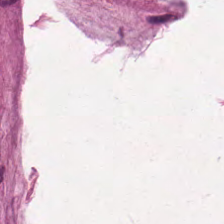224×224 px patch; FFPE; hematoxylin-and-eosin stained section — Tissue type — extracellular mucin.
